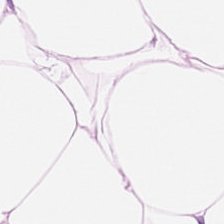H&E — Impression — adipose.
